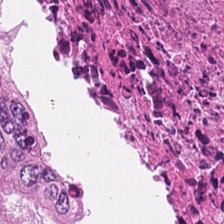H&E-stained tissue section. The predominant tissue is cellular debris.
